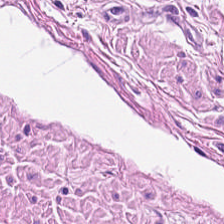H&E stain · 224×224 pixel tile.
Q: What type of tissue is this?
A: The field shows smooth muscle.
